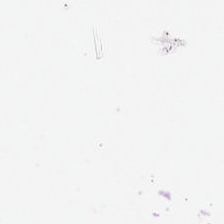H&E-stained tissue section · 224×224 pixel tile · brightfield — Impression → background.
